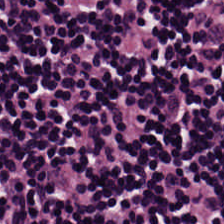The classification is lymphocyte aggregate.
